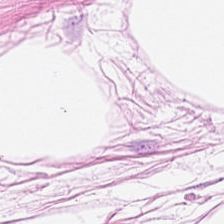Stain: hematoxylin and eosin.
Classification: adipose tissue.
